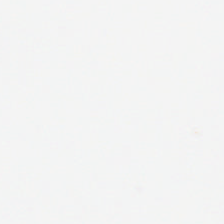Formalin-fixed paraffin-embedded section; brightfield; H&E-stained tissue section.
{"content": "background (no tissue)"}
